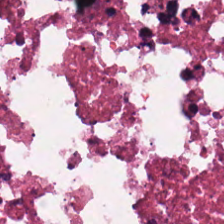224×224 px tile; 0.5 µm/px; H&E. Predominant tissue = cellular debris.
